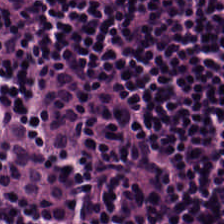{"tissue_type": "lymphocytic infiltrate"}
